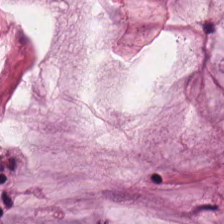Q: What is shown here?
A: It is mucus.
